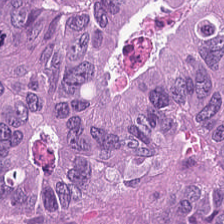Tissue class = tumor epithelium.
